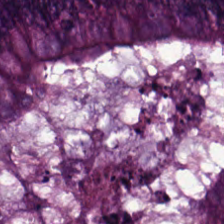Stain: hematoxylin-and-eosin stained section.
Tissue: colorectal adenocarcinoma.
